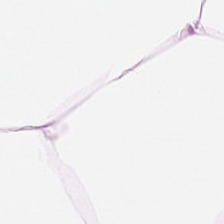H&E-stained section; the field shows adipocytes.
